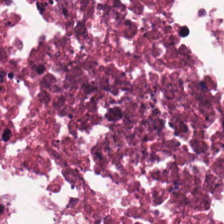Hematoxylin-and-eosin stained section · brightfield.
This field is debris.
